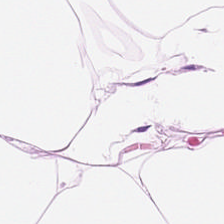Hematoxylin-and-eosin stained section; 0.5 µm/px; 224×224 px patch.
Adipose tissue.
